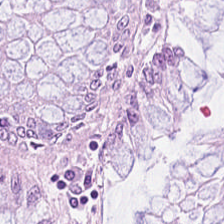Stain: hematoxylin-and-eosin stained section.
Preparation: FFPE tissue section.
Tile size: 224×224 px patch.
Tissue class: normal colonic mucosa.
